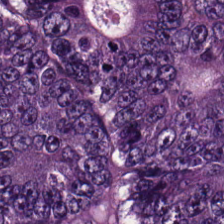Tissue type: malignant epithelium.
